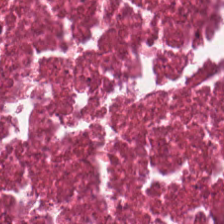Impression — debris.
